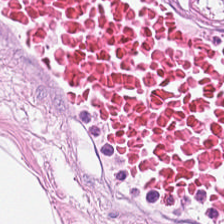Hematoxylin-and-eosin stained section.
Predominantly adipocytes.
